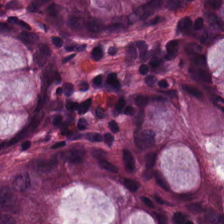Stain: hematoxylin-and-eosin stained section.
Predominant tissue: normal colonic mucosa.
